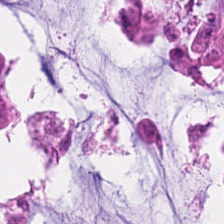H&E-stained tissue section.
Tissue: tumor epithelium.
